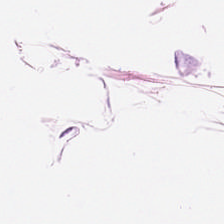Hematoxylin-and-eosin section: fat tissue.
